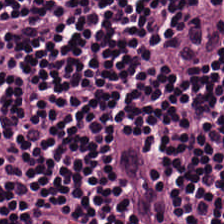Hematoxylin-and-eosin stained section · FFPE.
Predominantly lymphocytic infiltrate.
